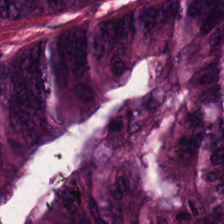Hematoxylin-and-eosin stained section.
This patch shows adenocarcinoma.
